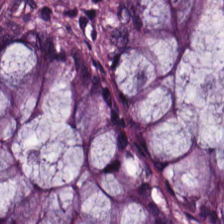H&E-stained tissue section — Predominant tissue = benign colonic mucosa.
